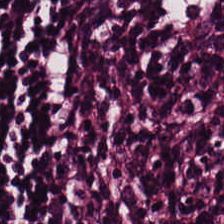H&E.
Tissue type — lymphocytic infiltrate.
